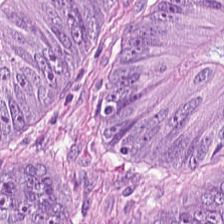Formalin-fixed paraffin-embedded section. Hematoxylin-and-eosin stained section — This patch shows adenocarcinoma.
